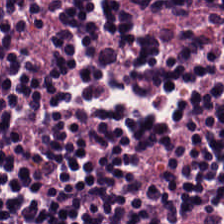20× equivalent magnification; brightfield; H&E-stained tissue section — Finding → lymphocytes.
